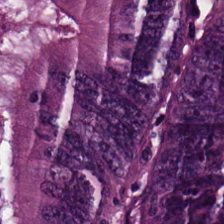Stain: H&E.
Tile size: 224×224 pixel tile.
Tissue: tumor epithelium.
